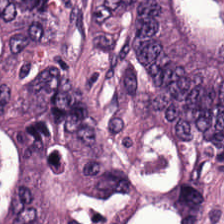Tissue type: tumor epithelium.
